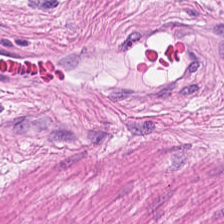Hematoxylin-and-eosin stained section — Q: What type of tissue is this?
A: This is smooth-muscle tissue.
